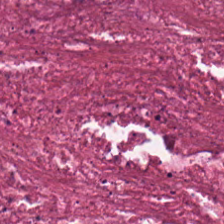Predominantly debris.
